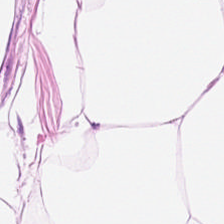20× equivalent magnification; hematoxylin and eosin. The predominant tissue is adipocytes.
